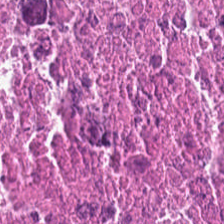This patch shows necrotic debris.
